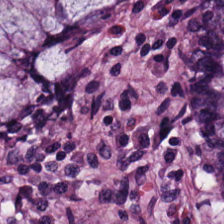Predominantly normal colon mucosa.
